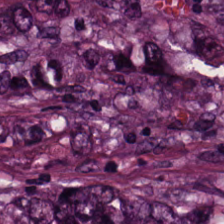Brightfield · FFPE tissue section · H&E.
Showing malignant epithelium.
